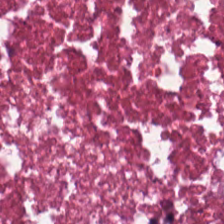H&E — {"tissue_type": "debris"}
